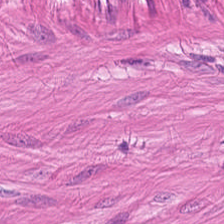224×224 px patch · FFPE tissue section · hematoxylin-and-eosin stained section. The tissue here is smooth muscle.
